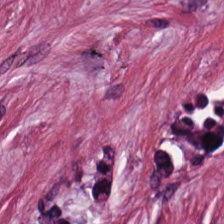H&E stain — Q: Classify this patch.
A: Tumor stroma.
